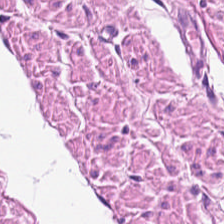H&E-stained tissue section.
Finding → muscularis.
